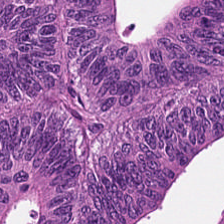H&E.
Classification — colorectal adenocarcinoma epithelium.
